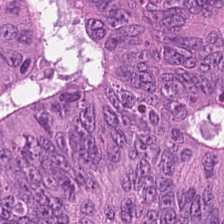H&E-stained tissue section · 0.5 µm per pixel — The tissue is colorectal adenocarcinoma.
